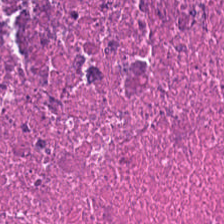H&E stain — {"tissue_type": "cellular debris"}
